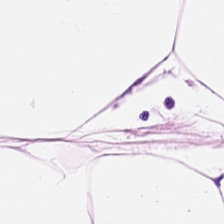20× equivalent magnification. Whole-slide-image patch. H&E — Adipocytes.
